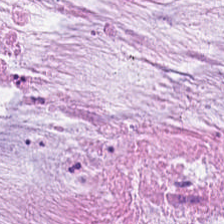Q: What is the predominant tissue type?
A: Mucin.
